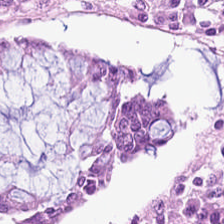Stain: hematoxylin and eosin.
Tissue: non-neoplastic colon mucosa.
